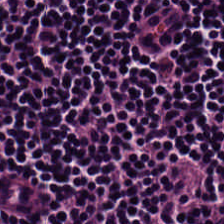Hematoxylin and eosin; 0.5 µm/px — Tissue type: lymphocyte aggregate.
